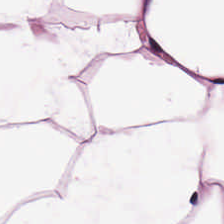H&E — Tissue — adipose tissue.
